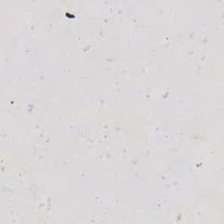224×224 pixel tile. H&E-stained tissue section.
{"content": "background (no tissue)"}
